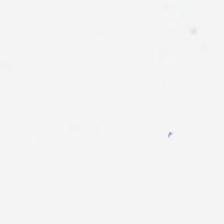Stain: H&E-stained tissue section.
Resolution: 0.5 µm/px.
Tile size: 224×224 px tile.
Content: empty background.
